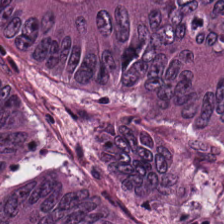Tissue: malignant epithelium.
